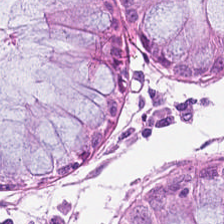{"tissue_type": "benign colonic mucosa"}
